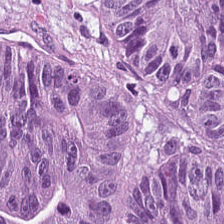Stain: H&E.
Tissue class: colorectal adenocarcinoma epithelium.
